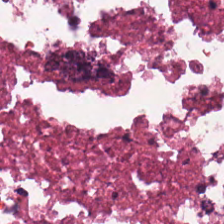H&E — Tissue type: necrotic debris.
